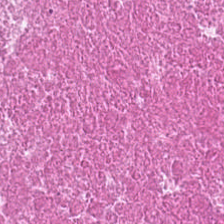224×224 pixel tile · H&E-stained tissue section — Classification — debris.
